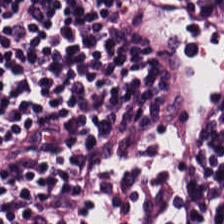Hematoxylin-and-eosin stained section; FFPE tissue section; WSI patch. This patch shows lymphoid infiltrate.
